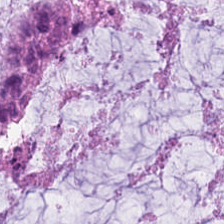Hematoxylin and eosin. {"tissue_type": "mucus"}
